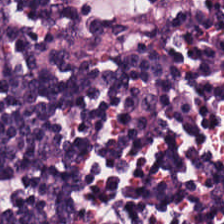H&E stain.
Tissue — lymphocytes.
